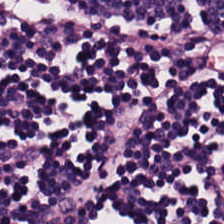Showing lymphoid infiltrate.
